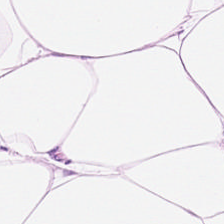FFPE; H&E-stained tissue section.
This field is adipocytes.
